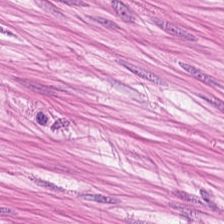H&E.
Showing smooth-muscle tissue.
